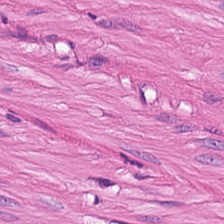224×224 px tile · hematoxylin-and-eosin stained section — This patch shows smooth-muscle tissue.
